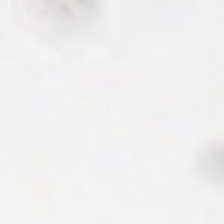Hematoxylin-and-eosin stained section. {"content": "empty background"}
